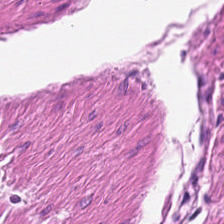H&E.
Predominantly smooth muscle.
